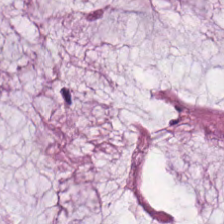0.5 µm per pixel; hematoxylin-and-eosin stained section; 224×224 pixel tile — This patch shows mucin.
